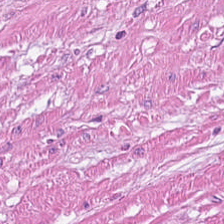H&E. Finding → smooth-muscle tissue.
